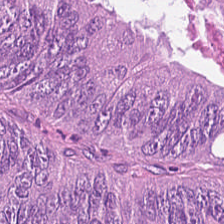H&E stain — Histology — adenocarcinoma.
